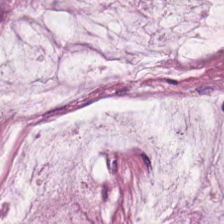224×224 px tile · H&E stain · 0.5 µm/px.
The classification is extracellular mucin.
